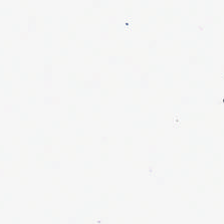H&E-stained tissue section — This patch shows empty background.
